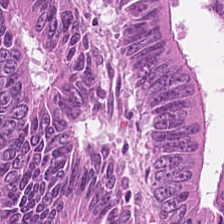FFPE. Hematoxylin-and-eosin stained section. Showing colorectal adenocarcinoma.
